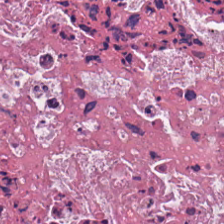H&E · brightfield microscopy — The predominant tissue is cellular debris.
